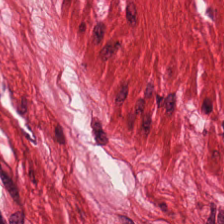FFPE tissue section; hematoxylin and eosin — Q: What is shown here?
A: Muscularis.
